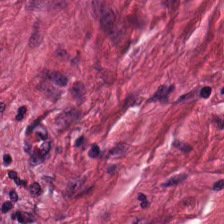H&E-stained tissue section — Q: Identify the tissue.
A: The field shows desmoplastic stroma.
